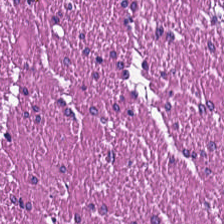Hematoxylin and eosin.
The classification is muscularis.
